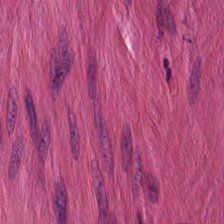H&E · brightfield microscopy. Predominantly smooth muscle.
